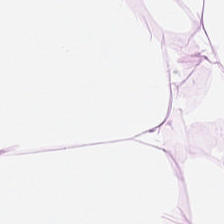Hematoxylin-and-eosin stained section. The predominant tissue is adipose.
